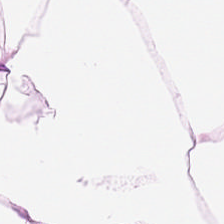FFPE tissue section. Hematoxylin-and-eosin stained section. Q: What tissue type is shown here?
A: It is fat tissue.
